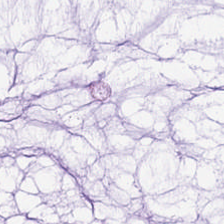H&E patch showing mucin.
